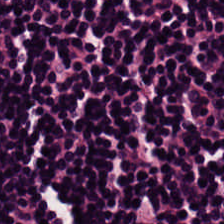H&E-stained tissue section showing lymphoid infiltrate.
